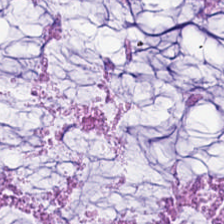Q: What type of tissue is this?
A: The field shows mucus.
